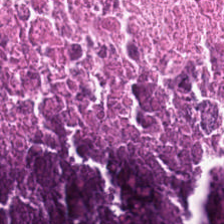H&E · 224×224 px patch.
{"tissue_type": "debris"}
